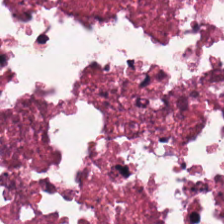Hematoxylin and eosin.
Debris.
